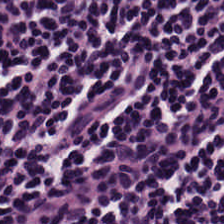Stain: hematoxylin and eosin.
Tissue: lymphocytes.
